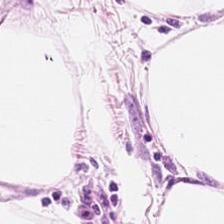WSI patch · H&E stain — The classification is adipose tissue.
